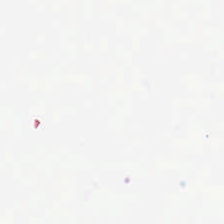H&E-stained tissue section. 0.5 µm/px — Finding → no tissue.
